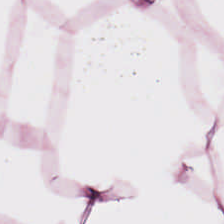Classification — fat tissue.
